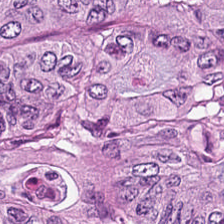H&E. Predominantly tumor epithelium.
